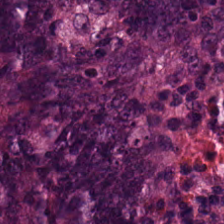H&E stain · brightfield · 224×224 px patch — The predominant tissue is malignant epithelium.
